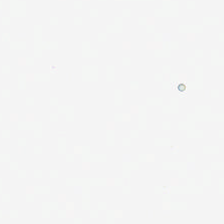H&E stain. The content is background (no tissue).
